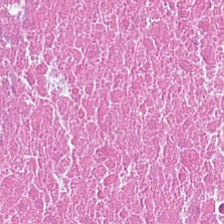Hematoxylin and eosin · 20× equivalent magnification.
This field is necrotic debris.
